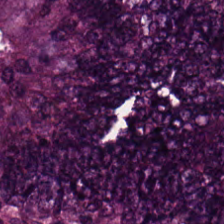H&E-stained tissue section — Tissue class = malignant epithelium.
